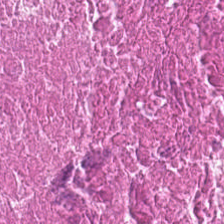0.5 µm per pixel · hematoxylin and eosin · 224×224 px patch — This patch shows cellular debris.
